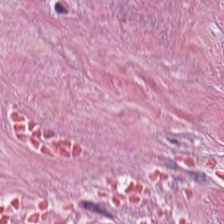Histology — tumor stroma.
